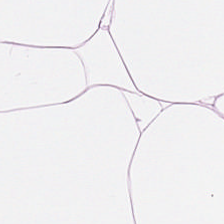Fat tissue.
